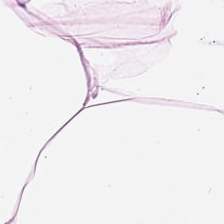H&E stain — Q: What is shown here?
A: It is adipocytes.
